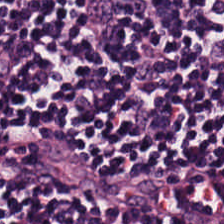Hematoxylin-and-eosin stained section · FFPE tissue section — This patch shows lymphocytic infiltrate.
